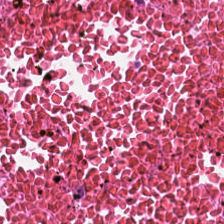Formalin-fixed paraffin-embedded section. H&E stain — The classification is cellular debris.
